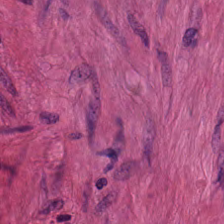H&E stain · FFPE. Q: What is the predominant tissue type?
A: This is muscularis.
